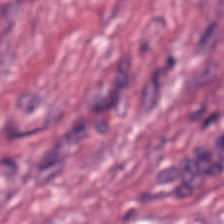Hematoxylin-and-eosin stained section. Predominantly desmoplastic stroma.
